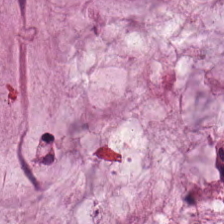Brightfield. 20× equivalent magnification. Hematoxylin and eosin. Finding — mucin.
